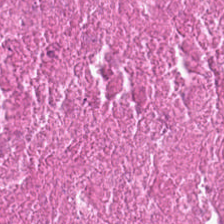Brightfield microscopy; H&E stain. The tissue here is cellular debris.
